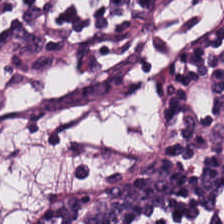Hematoxylin and eosin; FFPE.
Q: What does this patch show?
A: The field shows lymphoid infiltrate.
